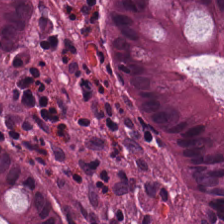Hematoxylin and eosin.
Showing benign colonic mucosa.
